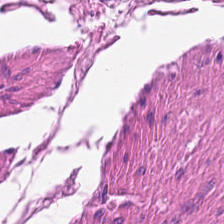H&E stain · FFPE tissue section — Predominantly smooth muscle.
